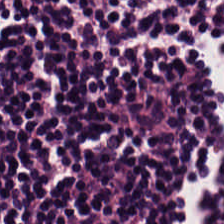Hematoxylin-and-eosin stained section. FFPE. 224×224 pixel tile — Tissue class = lymphocytes.
